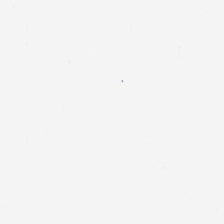0.5 µm per pixel; H&E-stained tissue section — Q: Classify this patch.
A: This is empty background.
